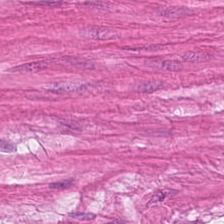224×224 pixel tile; hematoxylin and eosin. Tissue class = smooth-muscle tissue.
